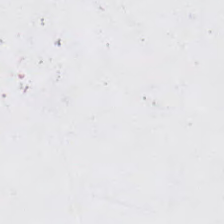Brightfield; hematoxylin and eosin. Classification — background.
